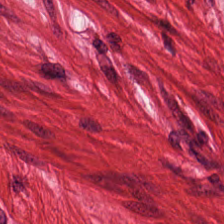224×224 px tile. H&E stain.
The tissue class is smooth-muscle tissue.
